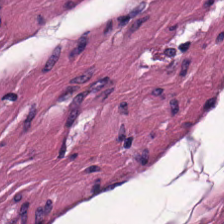Stain: hematoxylin-and-eosin stained section.
Preparation: FFPE tissue section.
Acquisition: whole-slide-image patch.
Tissue type: muscularis.
